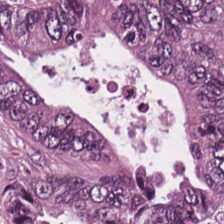H&E stain — The tissue class is malignant epithelium.
